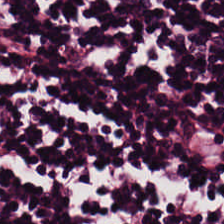Stain: H&E stain.
Tissue: lymphocytic infiltrate.
